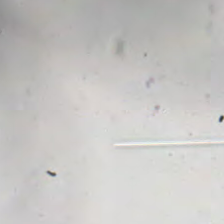Hematoxylin and eosin — Empty background.
